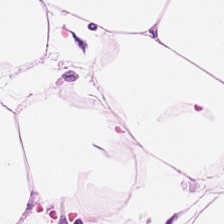{"tissue_type": "adipocytes"}
